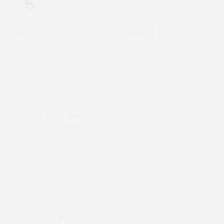{"content": "no tissue"}
